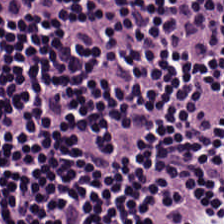H&E; brightfield microscopy — {"tissue_type": "lymphocytes"}
